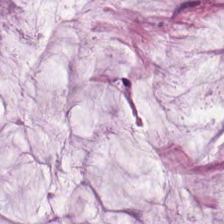H&E · 224×224 px patch · 0.5 microns per pixel — Histology → extracellular mucin.
